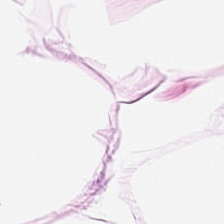H&E-stained tissue section; 0.5 microns per pixel.
Q: What is shown in this field?
A: Fat tissue.
